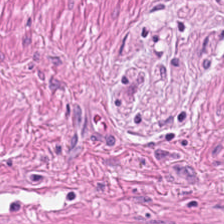H&E-stained tissue section. {"tissue_type": "muscularis"}
